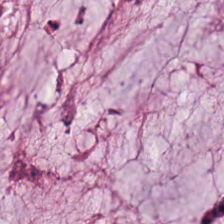Hematoxylin-and-eosin stained section. The predominant tissue is mucus.
